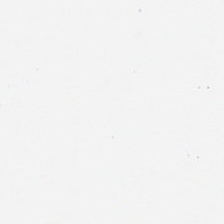Stain: H&E-stained tissue section.
Classification: empty background.
